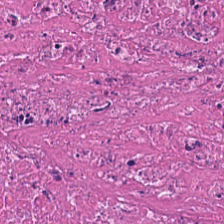0.5 µm/px · hematoxylin-and-eosin stained section · 224×224 px patch.
The predominant tissue is debris.
